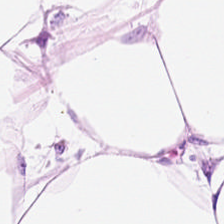Hematoxylin and eosin. This patch shows fat tissue.
